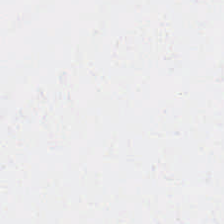Hematoxylin and eosin. Empty field — background (no tissue).
